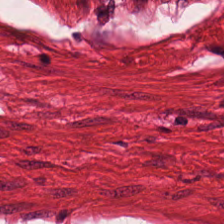H&E. Showing smooth muscle.
